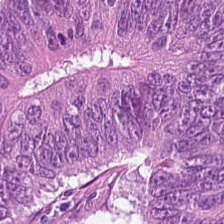0.5 µm per pixel. H&E stain. 224×224 px tile. Tissue type: malignant epithelium.
